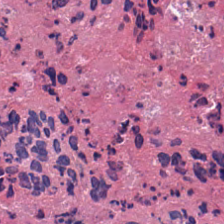Brightfield. H&E-stained tissue section. 224×224 px tile. Debris.
